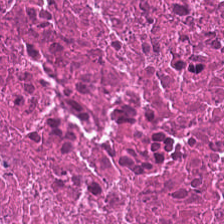Whole-slide-image patch. Hematoxylin-and-eosin stained section.
The classification is necrotic debris.
